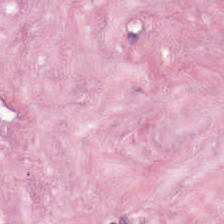Hematoxylin and eosin. WSI patch.
Tissue type — tumor-associated stroma.
